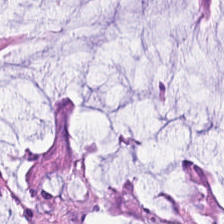20× equivalent magnification. H&E stain.
Classification: mucus.
